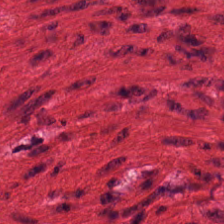Stain: hematoxylin-and-eosin stained section.
Tile size: 224×224 pixel tile.
Resolution: 0.5 µm per pixel.
Classification: muscularis.
